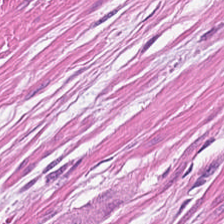Hematoxylin-and-eosin stained section. Smooth-muscle tissue.
